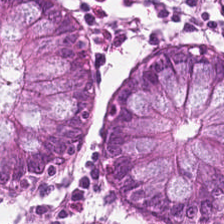224×224 pixel tile; H&E-stained tissue section — This field is benign colonic mucosa.
